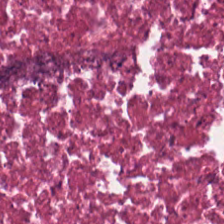Hematoxylin-and-eosin stained section · 224×224 pixel tile — Showing debris.
